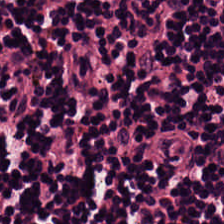Hematoxylin-and-eosin stained section; 0.5 microns per pixel.
The classification is lymphocyte aggregate.
